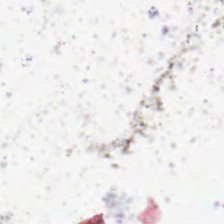H&E-stained tissue section; 224×224 px patch; 20× equivalent magnification.
Classification = background (no tissue).
